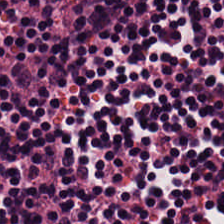Brightfield; H&E. {"tissue_type": "lymphocytic infiltrate"}
